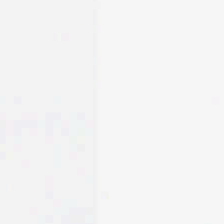Empty field — background (no tissue).
